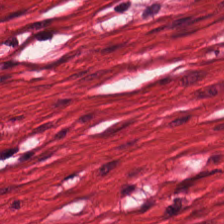Histology — smooth muscle.
